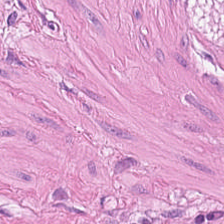WSI patch · 224×224 px tile · hematoxylin-and-eosin stained section — Predominant tissue — smooth-muscle tissue.
